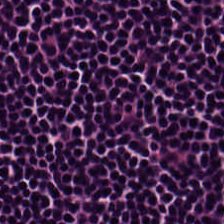H&E-stained tissue section.
Lymphoid infiltrate.
